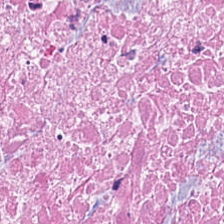H&E-stained tissue section. Tissue class: cellular debris.
